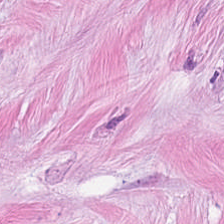Hematoxylin and eosin — Histology — tumor stroma.
